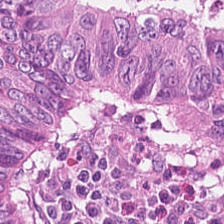Impression → adenocarcinoma.
